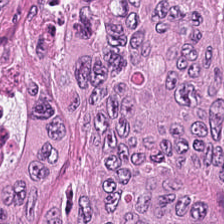H&E — Q: Classify this patch.
A: It is tumor epithelium.
